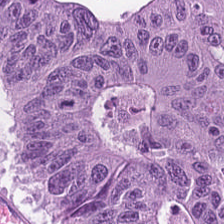Hematoxylin-and-eosin stained section. Histology → malignant epithelium.
